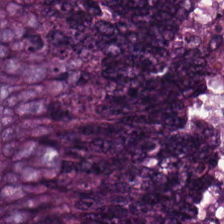H&E-stained tissue section showing adenocarcinoma.
